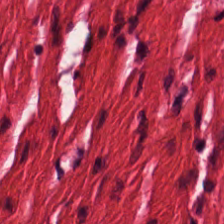Smooth muscle.
